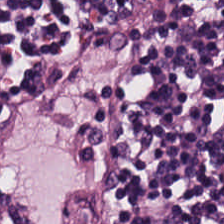H&E — Tissue = lymphocytic infiltrate.
